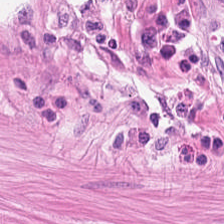H&E stain. Predominant tissue = muscularis.
